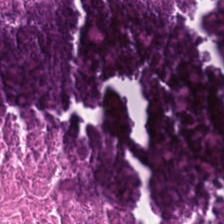H&E stain — Classification — necrotic debris.
